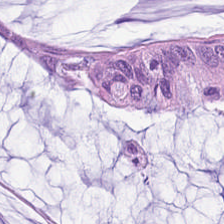H&E stain; FFPE. Tissue type: mucin.
